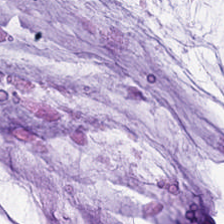224×224 px patch · hematoxylin-and-eosin stained section.
This field is extracellular mucin.
